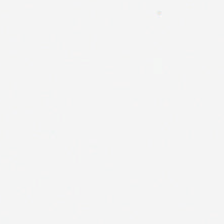H&E-stained tissue section.
Field content — empty background.
